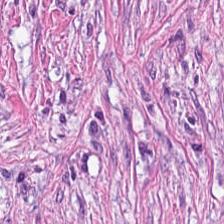H&E-stained tissue section.
Predominant tissue = tumor stroma.
